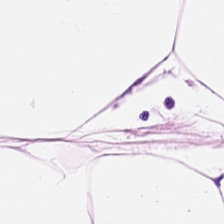224×224 px tile · hematoxylin-and-eosin stained section — Impression — adipose.
